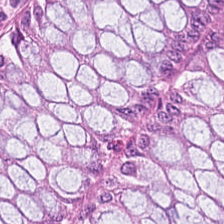Whole-slide-image patch · H&E-stained tissue section · 0.5 microns per pixel — This patch shows normal colonic mucosa.
